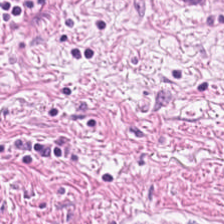224×224 px tile. H&E-stained tissue section. Whole-slide-image patch. Q: What is shown in this field?
A: Smooth muscle.
